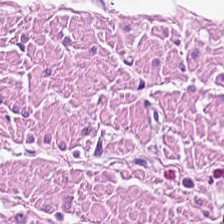H&E-stained tissue section; 224×224 px patch; brightfield. This field is smooth-muscle tissue.
